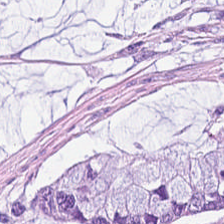H&E patch showing extracellular mucin.
